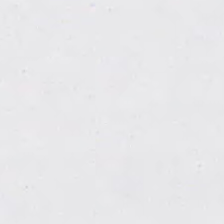Hematoxylin-and-eosin stained section.
Field content — background.
